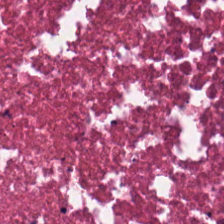H&E. Tissue — debris.
